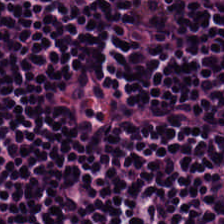Hematoxylin and eosin. Brightfield microscopy — Tissue type = lymphocytic infiltrate.
